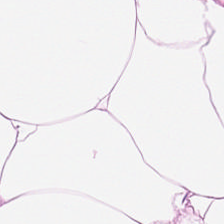Stain: hematoxylin and eosin.
Tissue: adipose tissue.
